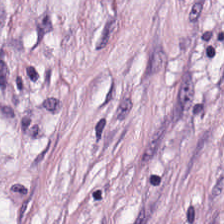H&E patch showing cancer-associated stroma.
